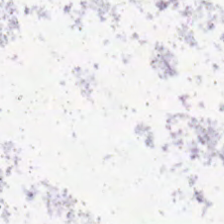Content — background.
